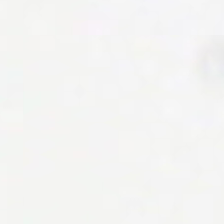Formalin-fixed paraffin-embedded section; H&E-stained tissue section; 224×224 pixel tile.
Histology → background (no tissue).
